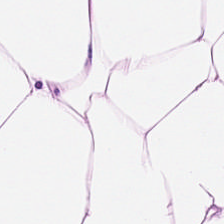H&E stain. WSI patch. 0.5 µm per pixel.
The tissue class is adipose tissue.
